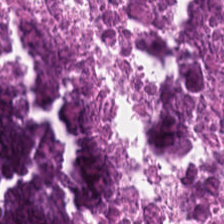H&E-stained tissue section. Tissue — necrotic debris.
